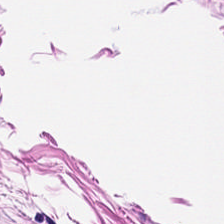H&E stain. 20× equivalent magnification. Showing smooth muscle.
